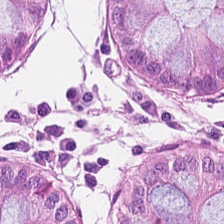H&E — The tissue here is normal colonic mucosa.
